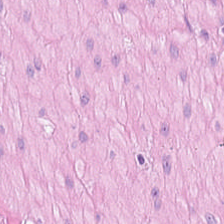224×224 pixel tile. Whole-slide-image patch. Hematoxylin-and-eosin stained section. Q: What type of tissue is this?
A: The field shows smooth-muscle tissue.
